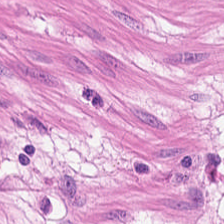Hematoxylin and eosin; formalin-fixed paraffin-embedded section.
This field is smooth-muscle tissue.
